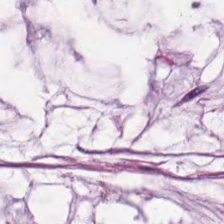224×224 pixel tile · hematoxylin-and-eosin stained section · FFPE. Showing mucin.
